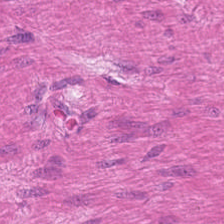H&E — This field is smooth-muscle tissue.
